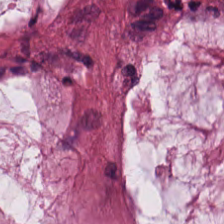H&E — This field is mucus.
